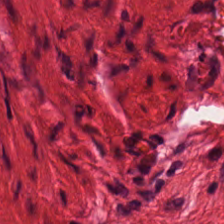Hematoxylin-and-eosin section: smooth muscle.
